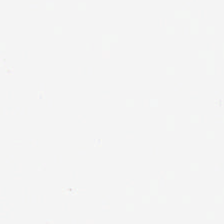Hematoxylin and eosin.
Q: What is shown here?
A: It is background (no tissue).
